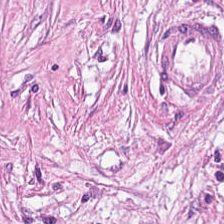Hematoxylin and eosin. Q: Classify this patch.
A: This is tumor-associated stroma.
